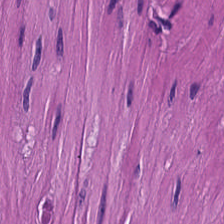Hematoxylin-and-eosin stained section — Q: What type of tissue is this?
A: It is smooth-muscle tissue.
